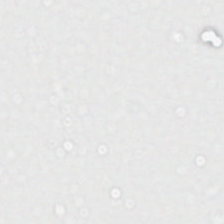Hematoxylin and eosin. Classification — empty background.
